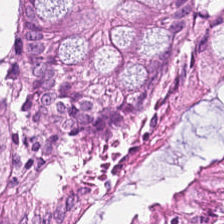H&E-stained tissue section. Classification — benign colonic mucosa.
